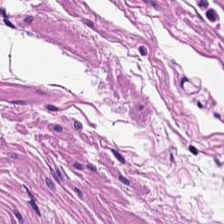H&E — Predominant tissue — muscularis.
